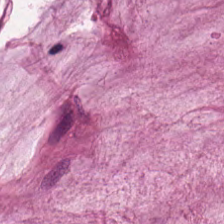Hematoxylin and eosin. Mucus.
